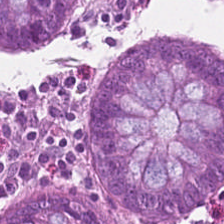H&E-stained tissue section. 20× equivalent magnification.
Q: What tissue is shown?
A: This is non-neoplastic colon mucosa.
